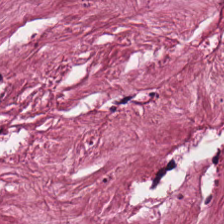Hematoxylin-and-eosin stained section.
The predominant tissue is cancer-associated stroma.
